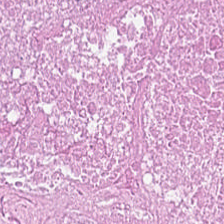Predominant tissue — necrotic debris.
